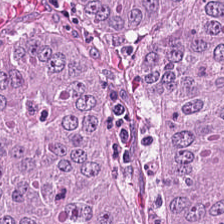Hematoxylin-and-eosin stained section.
{"tissue_type": "colorectal adenocarcinoma epithelium"}
